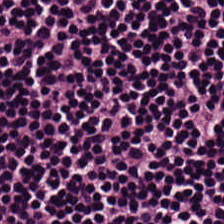H&E stain.
{"tissue_type": "lymphocyte aggregate"}
